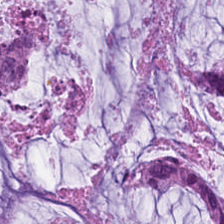224×224 pixel tile · H&E-stained tissue section · brightfield microscopy — {"tissue_type": "extracellular mucin"}
